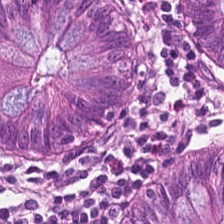H&E — non-neoplastic colon mucosa.
